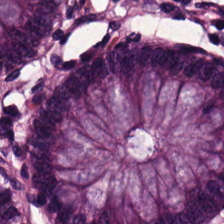H&E-stained tissue section. 224×224 px tile. Benign colonic mucosa.
